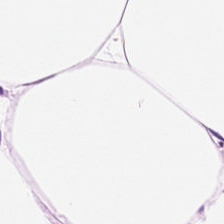Hematoxylin and eosin. Showing fat tissue.
